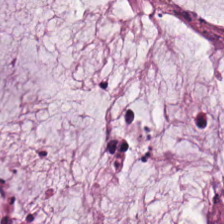H&E-stained tissue section — Classification: extracellular mucin.
